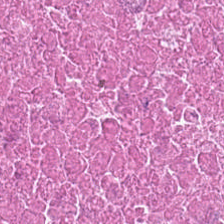Predominant tissue: cellular debris.
